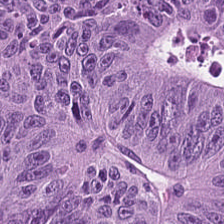Stain: H&E stain.
Resolution: 0.5 microns per pixel.
Classification: adenocarcinoma.
